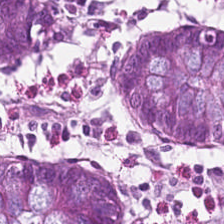H&E stain.
Q: What does this patch show?
A: It is normal colon mucosa.
